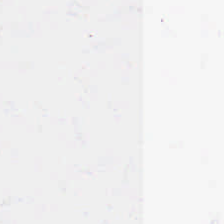Hematoxylin-and-eosin stained section.
{"content": "background (no tissue)"}
